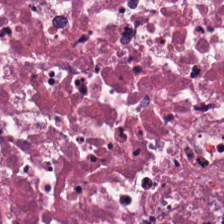H&E; 224×224 px patch — This patch shows necrotic debris.
